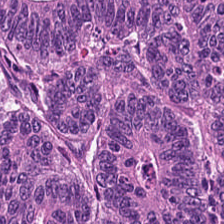Formalin-fixed paraffin-embedded section. 0.5 µm per pixel. H&E stain — Q: What is shown in this field?
A: The field shows tumor epithelium.
